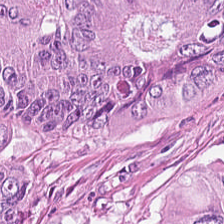H&E-stained tissue section — Showing colorectal adenocarcinoma.
